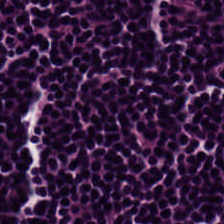H&E-stained tissue section showing lymphocytes.
